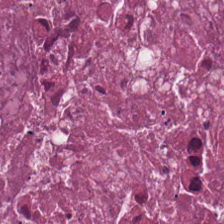H&E-stained tissue section — Predominant tissue: debris.
